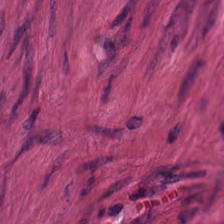Stain: H&E.
Acquisition: WSI patch.
Preparation: FFPE tissue section.
Tissue type: smooth muscle.
